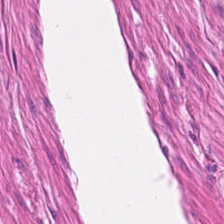H&E stain — The tissue type is smooth-muscle tissue.
